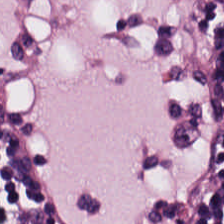H&E stain · 0.5 µm/px — The predominant tissue is lymphocyte aggregate.
